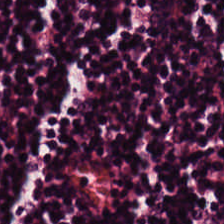H&E-stained tissue section; brightfield — {"tissue_type": "lymphoid infiltrate"}
